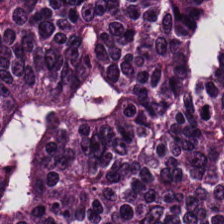Hematoxylin-and-eosin stained section. Formalin-fixed paraffin-embedded section. Tissue type — tumor epithelium.
